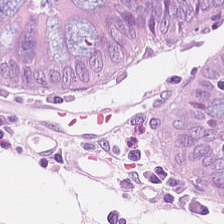Hematoxylin-and-eosin stained section — The predominant tissue is normal colon mucosa.
